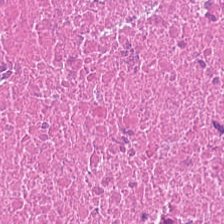Formalin-fixed paraffin-embedded section · H&E stain — Predominant tissue: necrotic debris.
